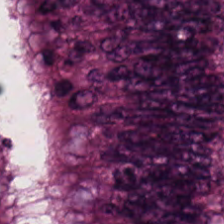Hematoxylin-and-eosin stained section. Predominant tissue = colorectal adenocarcinoma.
